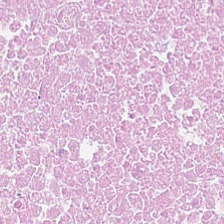224×224 pixel tile · hematoxylin and eosin — Predominantly debris.
